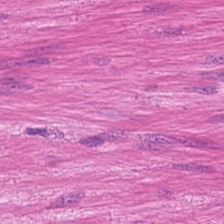H&E — muscularis.
